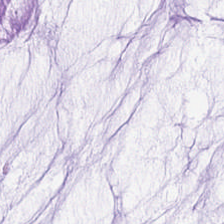H&E patch showing mucus.
